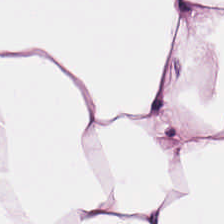This field is fat tissue.
